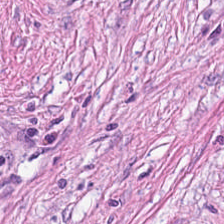H&E patch showing tumor-associated stroma.
